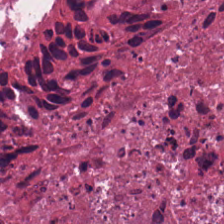H&E · whole-slide-image patch — Predominant tissue: debris.
